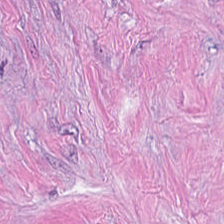Brightfield microscopy; H&E stain.
Impression — tumor stroma.
